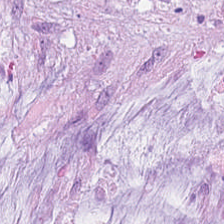Impression — mucus.
